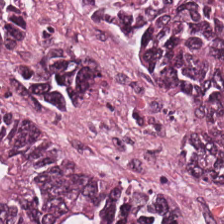This patch shows colorectal adenocarcinoma epithelium.
